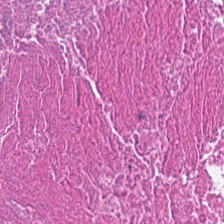H&E. Whole-slide-image patch. Tissue class — cellular debris.
